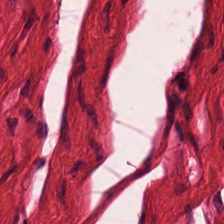Formalin-fixed paraffin-embedded section · brightfield · H&E. Histology → muscularis.
